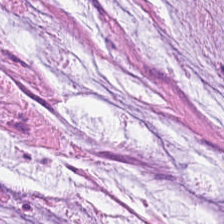H&E — Mucin.
